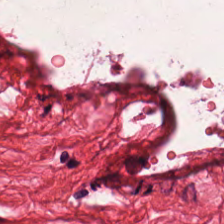H&E. Histology — smooth-muscle tissue.
